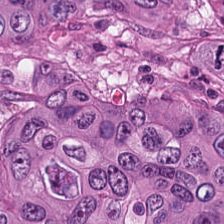The predominant tissue is colorectal adenocarcinoma.
